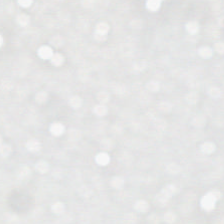Content — empty background.
